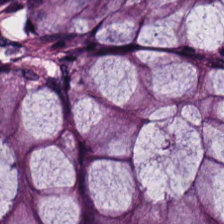FFPE · H&E-stained tissue section.
Tissue: non-neoplastic colon mucosa.
